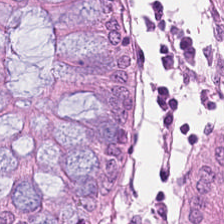224×224 pixel tile. 0.5 µm per pixel. H&E stain — The predominant tissue is normal colonic mucosa.
